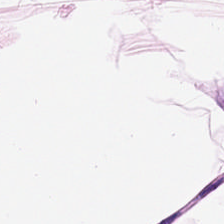Stain: hematoxylin-and-eosin stained section.
Resolution: 0.5 µm/px.
Tile size: 224×224 pixel tile.
Tissue type: adipose tissue.
